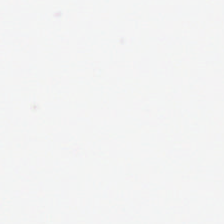The content is background.
